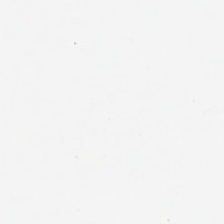Q: What does this patch show?
A: This is background (no tissue).
